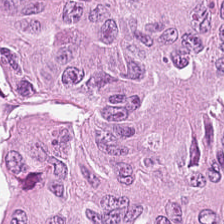Whole-slide-image patch. Hematoxylin and eosin.
Q: Classify this patch.
A: The field shows tumor epithelium.
